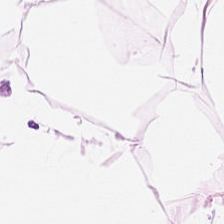Hematoxylin-and-eosin stained section. 224×224 px patch. 0.5 microns per pixel — Tissue class — adipose.
